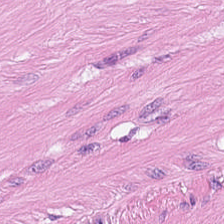Stain: hematoxylin-and-eosin stained section.
Resolution: 0.5 µm per pixel.
Preparation: FFPE.
Tissue class: smooth muscle.
